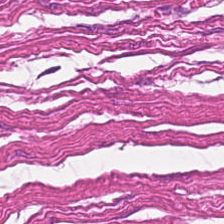H&E. Predominant tissue — smooth-muscle tissue.
